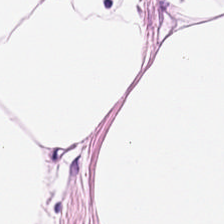Stain: H&E.
Tissue type: adipocytes.
